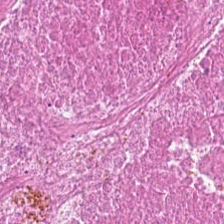Stain: hematoxylin and eosin.
Predominant tissue: cellular debris.
